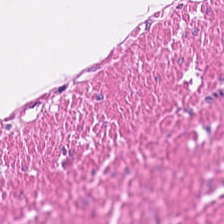FFPE · H&E stain · 224×224 px patch. Muscularis.
